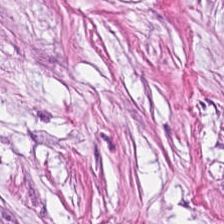H&E-stained tissue section. The tissue here is tumor-associated stroma.
